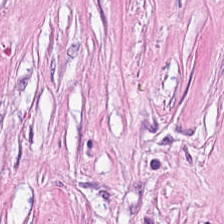{"tissue_type": "tumor stroma"}
